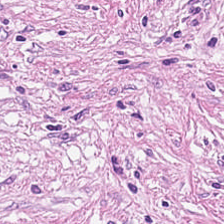Stain: hematoxylin and eosin.
Tissue class: cancer-associated stroma.
